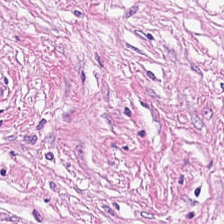H&E.
This patch shows desmoplastic stroma.
